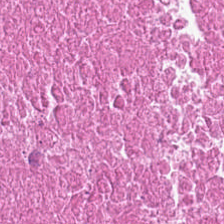Formalin-fixed paraffin-embedded section; H&E stain.
Tissue type = necrotic debris.
